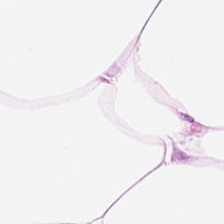0.5 µm per pixel; hematoxylin and eosin; formalin-fixed paraffin-embedded section — Q: What tissue is shown?
A: The field shows adipose.
